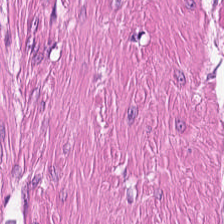H&E-stained tissue section; 20× equivalent magnification.
Q: What is the predominant tissue type?
A: This is smooth-muscle tissue.
